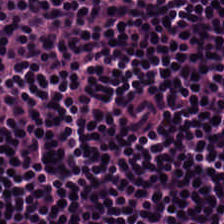H&E-stained tissue section. Predominantly lymphoid infiltrate.
